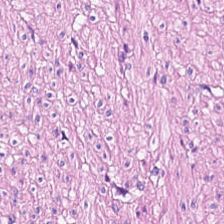Hematoxylin-and-eosin stained section.
{"tissue_type": "muscularis"}
